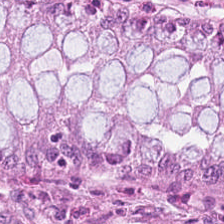H&E-stained tissue section — This field is non-neoplastic colon mucosa.
